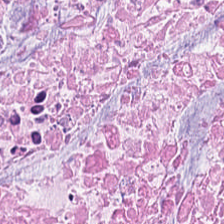H&E-stained tissue section. 20× equivalent magnification — Q: What is shown in this field?
A: It is cellular debris.
